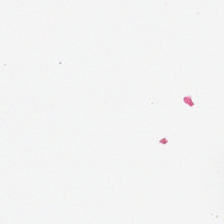This field is background (no tissue).
